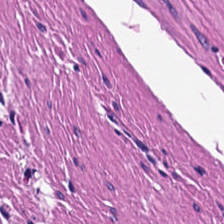224×224 px patch. Hematoxylin and eosin. 20× equivalent magnification.
{"tissue_type": "smooth muscle"}
